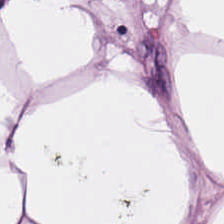224×224 px tile · H&E · 0.5 µm per pixel — Showing adipocytes.
